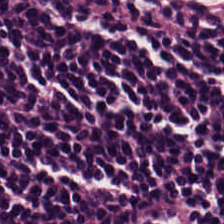Stain: H&E stain.
Tissue: lymphoid infiltrate.
